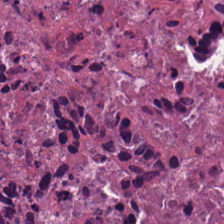H&E patch showing debris.
